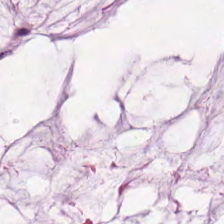Q: What is shown here?
A: It is mucus.
